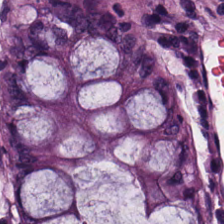20× equivalent magnification; H&E; brightfield. This patch shows benign colonic mucosa.
